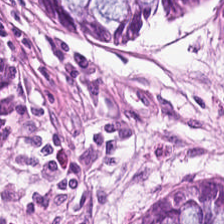Stain: H&E-stained tissue section.
Tissue type: normal colon mucosa.
